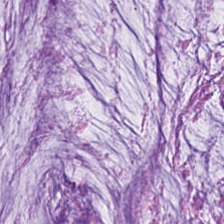224×224 px tile; H&E-stained tissue section — Histology → mucin.
